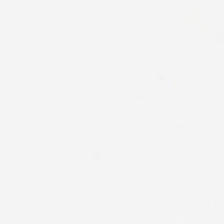H&E-stained tissue section. Q: What does this patch show?
A: The field shows background.
